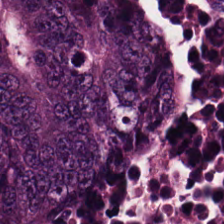H&E stain.
This field is colorectal adenocarcinoma.
